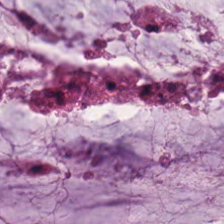Tissue class: mucus.
